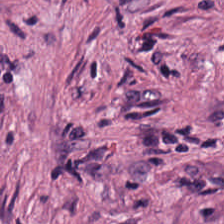0.5 µm per pixel. H&E-stained tissue section. WSI patch.
Showing cancer-associated stroma.
